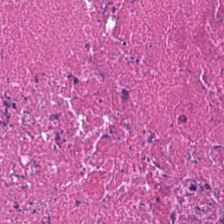Hematoxylin-and-eosin stained section. Q: What is the predominant tissue type?
A: It is necrotic debris.
